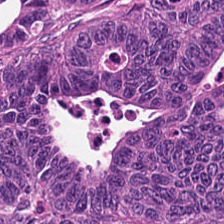Stain: H&E.
Tissue type: tumor epithelium.
